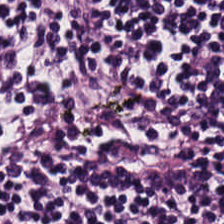H&E stain — This field is lymphoid infiltrate.
